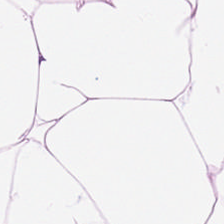H&E. This patch shows adipose tissue.
